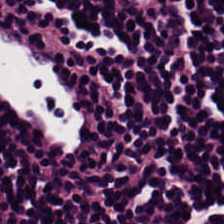20× equivalent magnification · H&E · FFPE tissue section — The tissue type is lymphocytic infiltrate.
